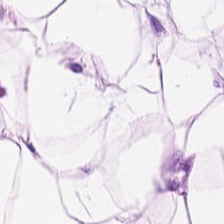H&E-stained tissue section — This field is adipose.
